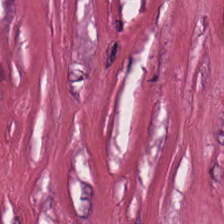H&E stain — Showing tumor-associated stroma.
